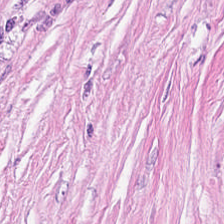Q: What type of tissue is this?
A: The field shows cancer-associated stroma.
